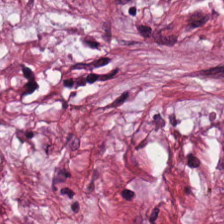Hematoxylin-and-eosin stained section. This patch shows tumor-associated stroma.
